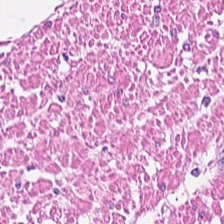20× equivalent magnification; H&E stain; 224×224 pixel tile — The classification is smooth muscle.
